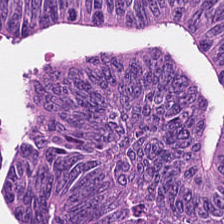The tissue class is colorectal adenocarcinoma.
